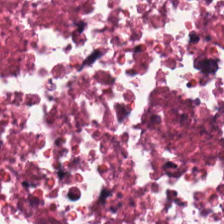H&E stain · WSI patch. Impression → necrotic debris.
